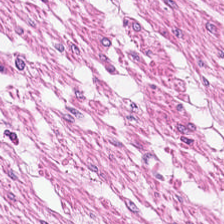This field is smooth-muscle tissue.
